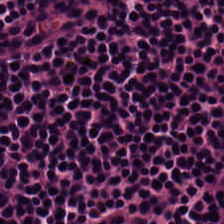Hematoxylin-and-eosin stained section — Showing lymphocytes.
